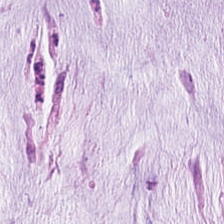Hematoxylin and eosin.
This field is mucus.
